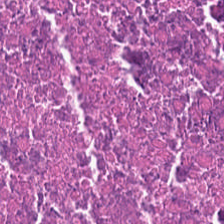H&E — Q: What tissue type is shown here?
A: It is debris.
